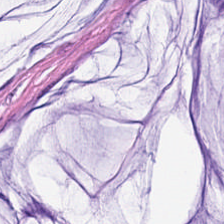H&E-stained tissue section · FFPE · 20× equivalent magnification.
The tissue here is extracellular mucin.
